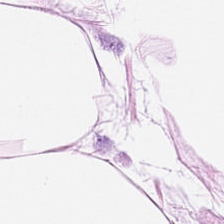H&E — Tissue — adipose tissue.
